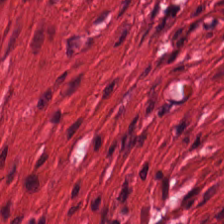Stain: hematoxylin-and-eosin stained section.
Predominant tissue: smooth-muscle tissue.
